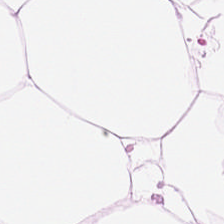0.5 µm/px · H&E stain — This patch shows adipose tissue.
